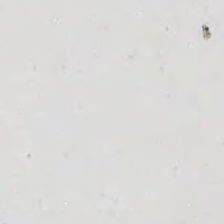H&E-stained tissue section.
Background — no tissue in this field.
